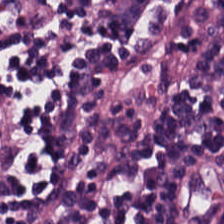H&E-stained tissue section.
The predominant tissue is lymphocytic infiltrate.
